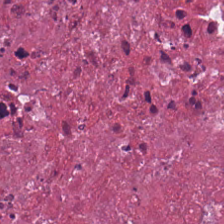H&E; brightfield — Impression → necrotic debris.
